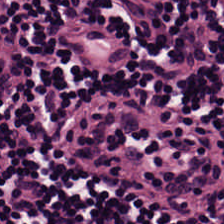Hematoxylin and eosin · FFPE. The tissue type is lymphoid infiltrate.
